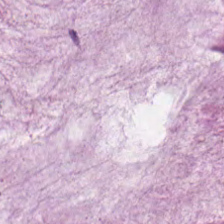H&E stain. Tissue type = mucin.
